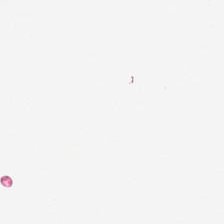Stain: H&E.
Tile size: 224×224 px tile.
Field content: background.
